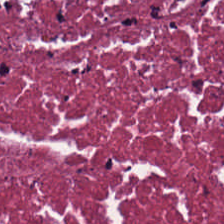Stain: hematoxylin-and-eosin stained section.
Tile size: 224×224 pixel tile.
Predominant tissue: necrotic debris.
